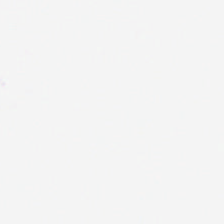Stain: H&E stain.
Field content: background (no tissue).
